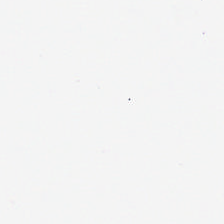Brightfield · hematoxylin-and-eosin stained section.
Impression — background (no tissue).
